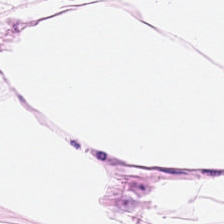Stain: H&E.
Acquisition: whole-slide-image patch.
Resolution: 0.5 µm/px.
Tissue type: adipose.
